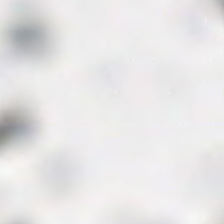Q: What is shown here?
A: It is empty background.
